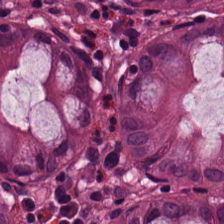0.5 microns per pixel · H&E stain — Histology — benign colonic mucosa.
